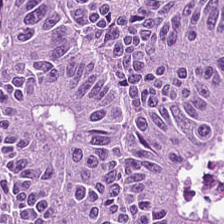H&E · WSI patch. The classification is malignant epithelium.
